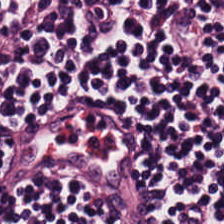Brightfield microscopy · 20× equivalent magnification · hematoxylin and eosin. Q: What type of tissue is this?
A: This is lymphoid infiltrate.
